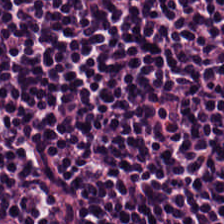Hematoxylin-and-eosin stained section.
This field is lymphoid infiltrate.
